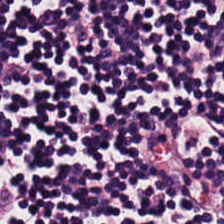Hematoxylin-and-eosin section: lymphocyte aggregate.
